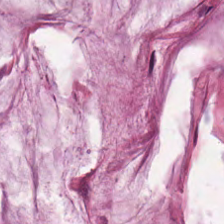The tissue here is mucus.
